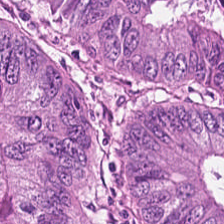Colorectal adenocarcinoma epithelium.
